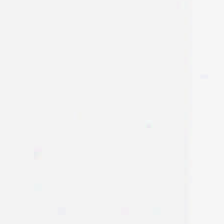This field is background (no tissue).
